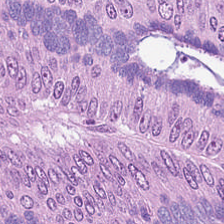Brightfield · H&E stain. {"tissue_type": "malignant epithelium"}
